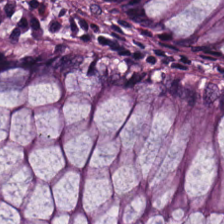Q: Identify the tissue.
A: Normal colon mucosa.
